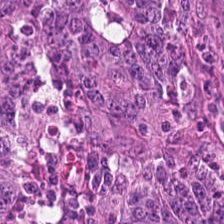Hematoxylin-and-eosin stained section; whole-slide-image patch — Tissue class — adenocarcinoma.
